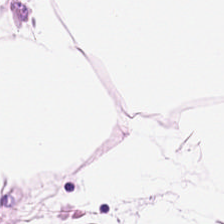Hematoxylin-and-eosin stained section — Histology — adipose.
